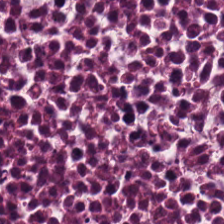Stain: H&E.
Acquisition: whole-slide-image patch.
Classification: cellular debris.
